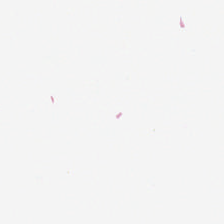Hematoxylin and eosin. This patch shows background.
